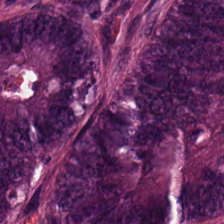H&E-stained tissue section — The classification is malignant epithelium.
